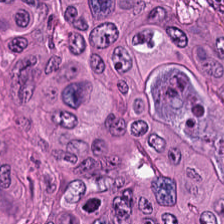Hematoxylin and eosin. The predominant tissue is colorectal adenocarcinoma epithelium.
